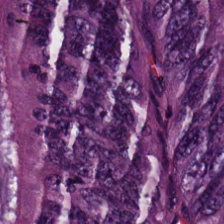Q: What tissue type is shown here?
A: Adenocarcinoma.
